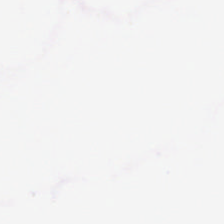Stain: H&E-stained tissue section.
Field content: no tissue.
